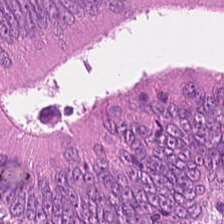Q: What type of tissue is this?
A: It is colorectal adenocarcinoma.
